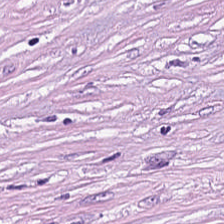224×224 pixel tile; H&E-stained tissue section; formalin-fixed paraffin-embedded section. {"tissue_type": "tumor-associated stroma"}
